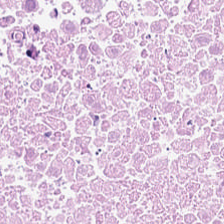Hematoxylin and eosin. 224×224 px tile — Histology — necrotic debris.
